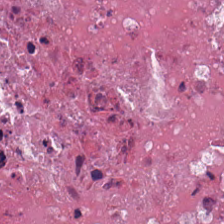H&E; 224×224 pixel tile. The predominant tissue is cellular debris.
